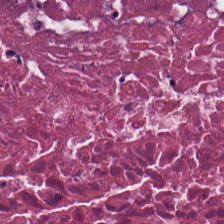Hematoxylin-and-eosin stained section; formalin-fixed paraffin-embedded section; 224×224 px patch — The predominant tissue is cellular debris.
